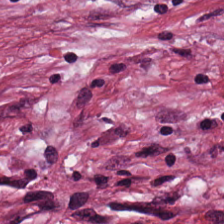Formalin-fixed paraffin-embedded section; hematoxylin-and-eosin stained section; brightfield. The predominant tissue is cancer-associated stroma.
